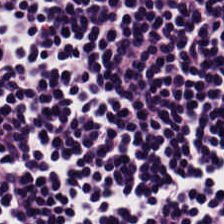Hematoxylin and eosin. Lymphocytes.
